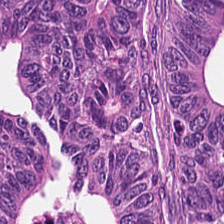Tissue class = adenocarcinoma.
